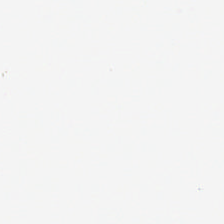Stain: H&E stain.
Resolution: 20× equivalent magnification.
Tile size: 224×224 px tile.
Content: no tissue.
